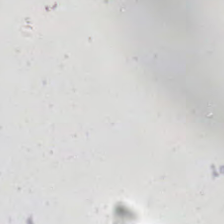WSI patch; H&E-stained tissue section; FFPE. This field is background (no tissue).
